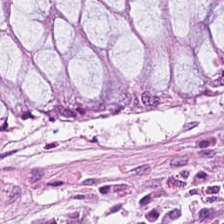Hematoxylin and eosin; FFPE tissue section. Normal colon mucosa.
